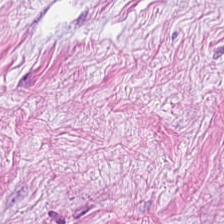H&E-stained tissue section — Q: What is shown in this field?
A: This is desmoplastic stroma.
